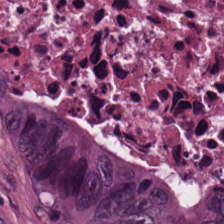Stain: hematoxylin-and-eosin stained section.
Tissue: necrotic debris.
